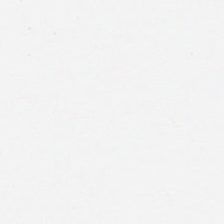H&E.
This field is background (no tissue).
